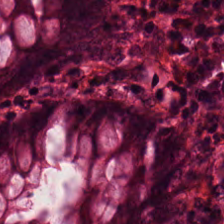Hematoxylin and eosin.
The tissue type is benign colonic mucosa.
